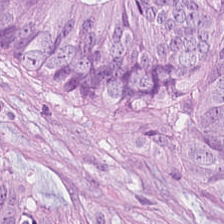Hematoxylin-and-eosin stained section — Q: Identify the tissue.
A: This is malignant epithelium.
